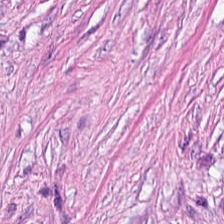Stain: H&E-stained tissue section.
Preparation: FFPE tissue section.
Resolution: 20× equivalent magnification.
Predominant tissue: desmoplastic stroma.
